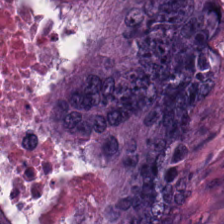Stain: H&E.
Tile size: 224×224 px tile.
Tissue type: colorectal adenocarcinoma epithelium.
